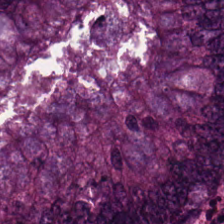Hematoxylin-and-eosin stained section.
Tissue type: colorectal adenocarcinoma.
